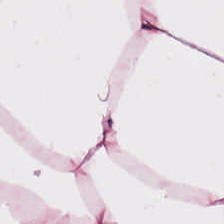Hematoxylin and eosin · FFPE tissue section · 0.5 microns per pixel. Impression → adipose tissue.
